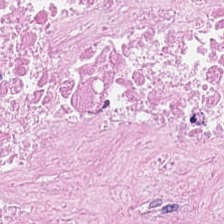This field is cellular debris.
